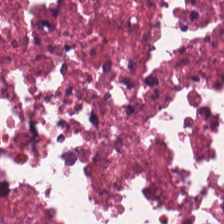Hematoxylin-and-eosin stained section — Tissue — necrotic debris.
